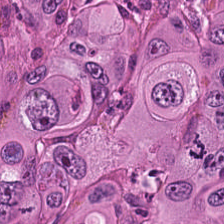H&E-stained tissue section. 224×224 px patch.
Q: What tissue is shown?
A: The field shows malignant epithelium.
